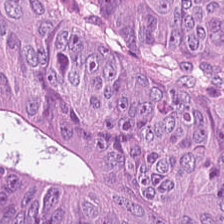Hematoxylin-and-eosin stained section. {"tissue_type": "adenocarcinoma"}
